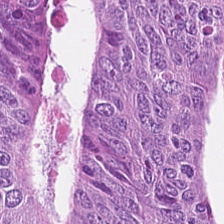Predominant tissue = tumor epithelium.
